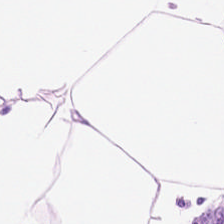H&E.
Predominantly adipocytes.
